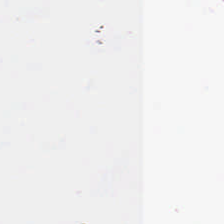FFPE tissue section. H&E-stained tissue section. 224×224 px tile. Impression — background (no tissue).
